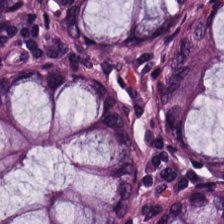This field is non-neoplastic colon mucosa.
